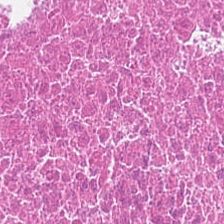Hematoxylin-and-eosin stained section — This field is cellular debris.
